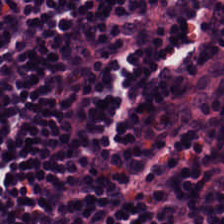The tissue here is lymphocytes.
